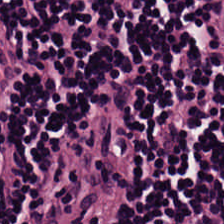Hematoxylin-and-eosin stained section. Q: What tissue is shown?
A: This is lymphoid infiltrate.
